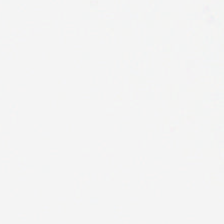Background — no tissue in this field.
